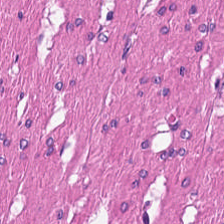0.5 µm/px · H&E.
Showing smooth muscle.
